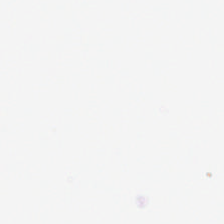224×224 px patch · brightfield microscopy · H&E stain.
This patch shows background (no tissue).
